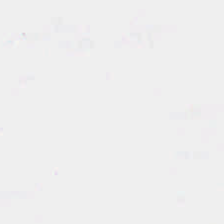Field content: background.
